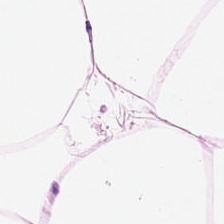Stain: H&E.
Tile size: 224×224 pixel tile.
Preparation: FFPE.
Tissue: adipose.
